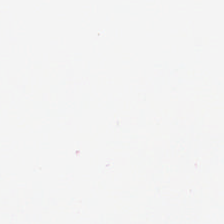No tissue present; background only.
